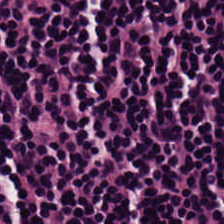Stain: H&E.
Tile size: 224×224 pixel tile.
Acquisition: brightfield.
Tissue class: lymphocytic infiltrate.
